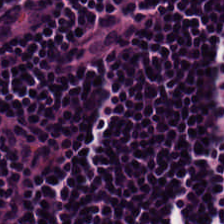H&E. This field is lymphocytes.
